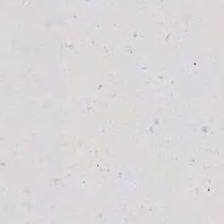Hematoxylin and eosin.
Q: What is shown here?
A: Background (no tissue).
